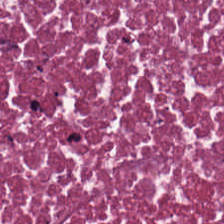Hematoxylin and eosin — This patch shows debris.
